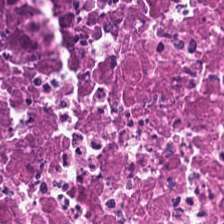Brightfield microscopy · H&E stain. The predominant tissue is necrotic debris.
